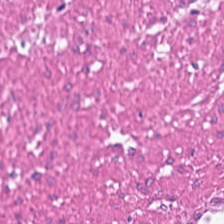H&E-stained tissue section. Predominantly smooth-muscle tissue.
